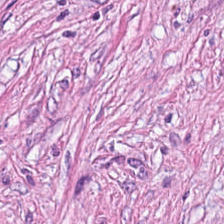H&E-stained tissue section.
Showing desmoplastic stroma.
